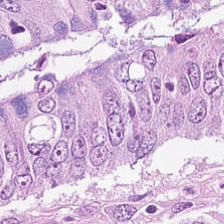H&E stain — Q: What type of tissue is this?
A: The field shows colorectal adenocarcinoma epithelium.
